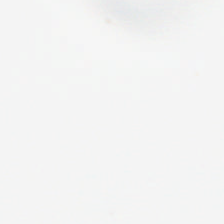Stain: H&E stain.
Field content: no tissue.
